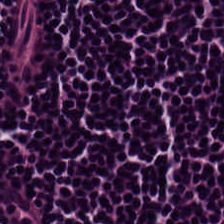Hematoxylin-and-eosin stained section. 224×224 px tile.
Q: What tissue type is shown here?
A: This is lymphocytic infiltrate.
